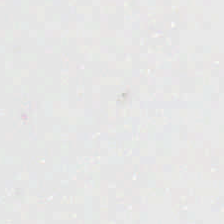H&E-stained tissue section. Q: What is shown here?
A: The field shows empty background.
